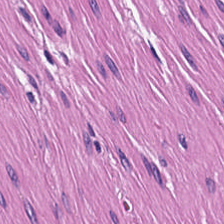H&E-stained tissue section.
The tissue here is muscularis.
